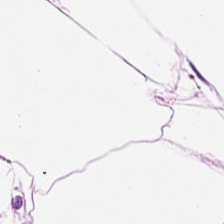H&E stain.
Predominant tissue = adipocytes.
